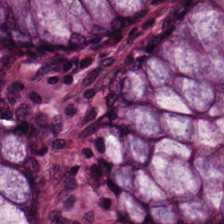H&E stain.
Predominantly normal colon mucosa.
